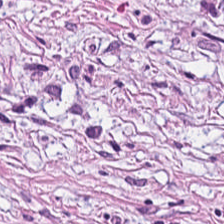The tissue is tumor-associated stroma.
